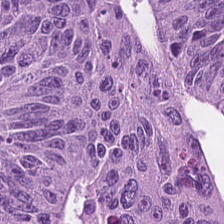Q: Classify this patch.
A: The field shows malignant epithelium.
